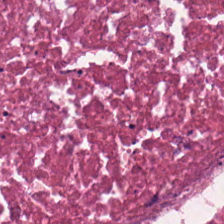Q: What is shown here?
A: Cellular debris.
